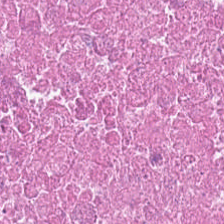H&E stain. 224×224 pixel tile. WSI patch — {"tissue_type": "necrotic debris"}
